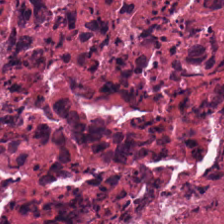Hematoxylin-and-eosin stained section. Cellular debris.
